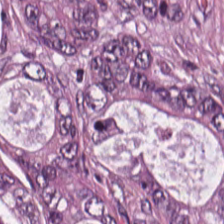Q: Identify the tissue.
A: This is colorectal adenocarcinoma.
